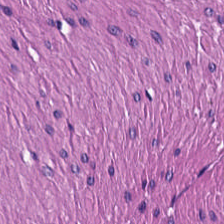The classification is muscularis.
